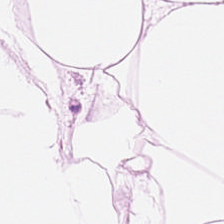Hematoxylin-and-eosin section: adipose tissue.
